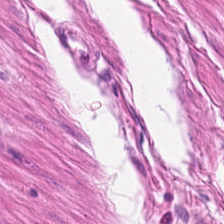H&E. Formalin-fixed paraffin-embedded section. Q: What is shown here?
A: The field shows smooth muscle.
